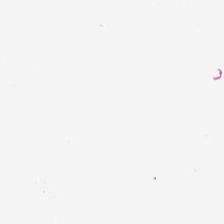WSI patch; H&E. {"content": "no tissue"}
